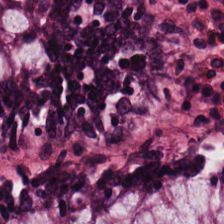H&E-stained tissue section; 0.5 µm/px.
Predominant tissue = normal colon mucosa.
